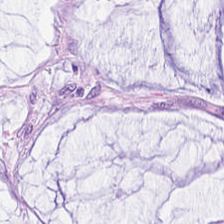224×224 pixel tile · H&E. Q: What is the predominant tissue type?
A: This is mucin.
